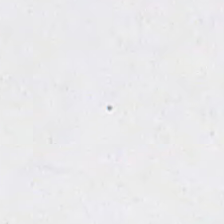H&E stain · formalin-fixed paraffin-embedded section · 224×224 pixel tile. This patch shows background (no tissue).
